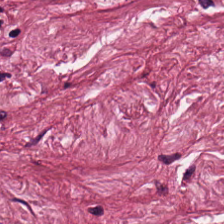WSI patch · H&E stain.
This field is tumor stroma.
